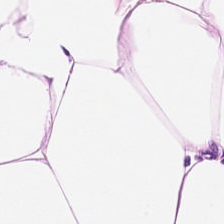224×224 px tile · 0.5 µm/px · H&E-stained tissue section — The tissue here is adipose.
